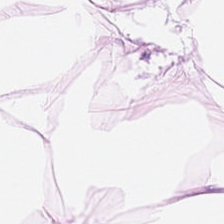Formalin-fixed paraffin-embedded section · 0.5 µm/px · hematoxylin-and-eosin stained section. Q: What tissue is shown?
A: Fat tissue.
